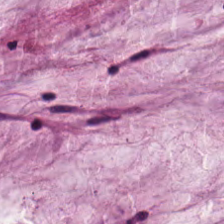Stain: hematoxylin-and-eosin stained section.
Acquisition: whole-slide-image patch.
Resolution: 0.5 microns per pixel.
Tissue class: extracellular mucin.
